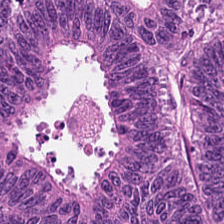H&E. 224×224 pixel tile. Formalin-fixed paraffin-embedded section. {"tissue_type": "colorectal adenocarcinoma epithelium"}
